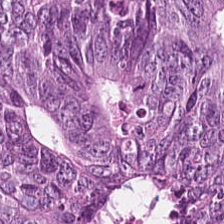Hematoxylin-and-eosin stained section. Tissue type: adenocarcinoma.
